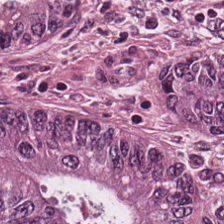H&E-stained tissue section.
Tissue — colorectal adenocarcinoma.
